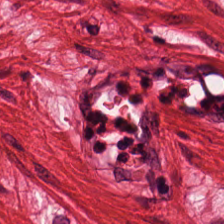Hematoxylin and eosin — Histology — smooth muscle.
